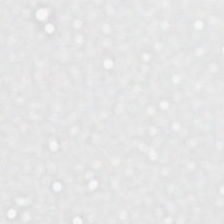Q: What does this patch show?
A: The field shows background.
